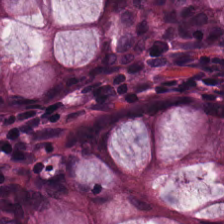H&E — Showing benign colonic mucosa.
